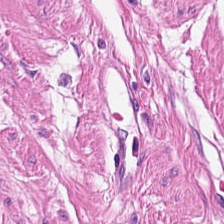Stain: H&E.
Classification: muscularis.
